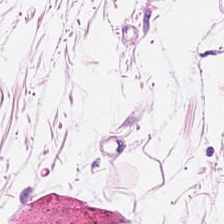Hematoxylin-and-eosin stained section. Tissue class: adipose.
